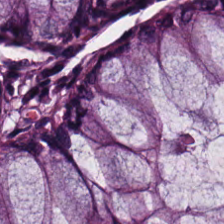Hematoxylin-and-eosin section: normal colonic mucosa.
